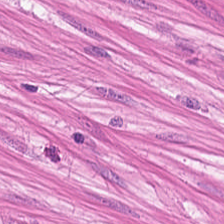Histology → smooth muscle.
